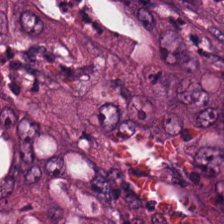224×224 pixel tile. H&E — Tissue class — colorectal adenocarcinoma epithelium.
